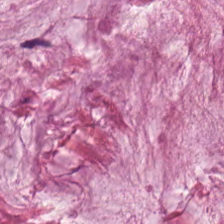Q: What does this patch show?
A: It is mucin.
